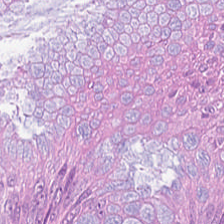Finding — malignant epithelium.
